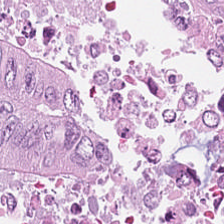H&E — The predominant tissue is tumor epithelium.
